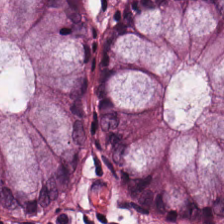Stain: hematoxylin and eosin.
Resolution: 0.5 microns per pixel.
Tissue class: normal colonic mucosa.
